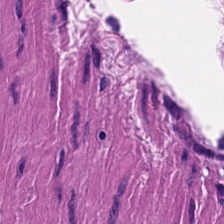H&E stain. This field is smooth-muscle tissue.
